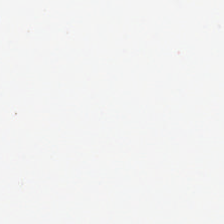Stain: hematoxylin and eosin.
Field content: background (no tissue).
